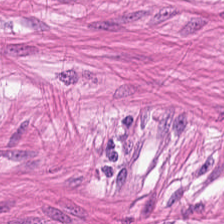Smooth-muscle tissue.
